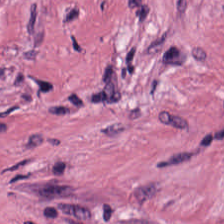Hematoxylin and eosin.
This patch shows cancer-associated stroma.
